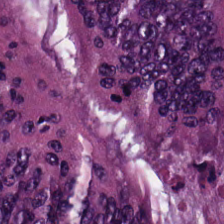Hematoxylin and eosin. FFPE tissue section. 0.5 microns per pixel — Adenocarcinoma.
